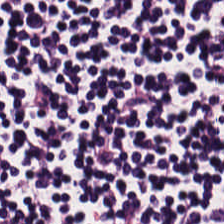H&E-stained tissue section.
Q: What type of tissue is this?
A: Lymphocyte aggregate.
